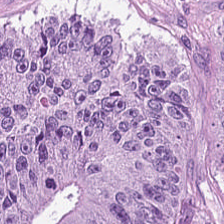H&E-stained tissue section. {"tissue_type": "colorectal adenocarcinoma epithelium"}
